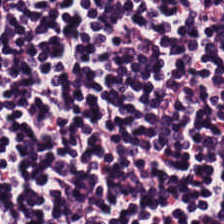Impression — lymphoid infiltrate.
